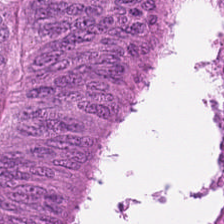H&E. Tissue — adenocarcinoma.
